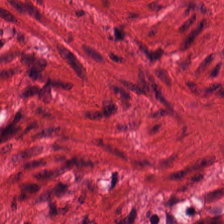The classification is smooth-muscle tissue.
